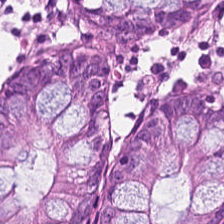Predominantly non-neoplastic colon mucosa.
